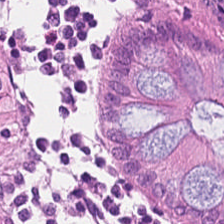Brightfield microscopy. 0.5 µm per pixel. H&E-stained tissue section.
Showing benign colonic mucosa.
